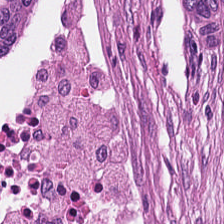Hematoxylin-and-eosin stained section. Histology → colorectal adenocarcinoma epithelium.
